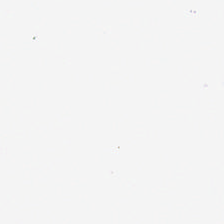No tissue.
